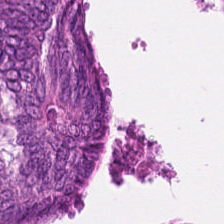H&E-stained tissue section.
Predominant tissue — malignant epithelium.
